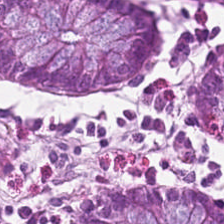H&E patch showing normal colonic mucosa.
